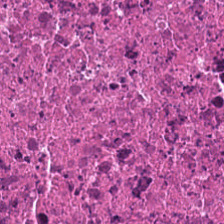This field is debris.
